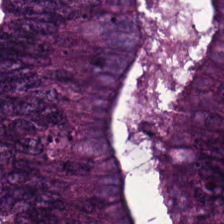H&E stain.
Predominant tissue — adenocarcinoma.
